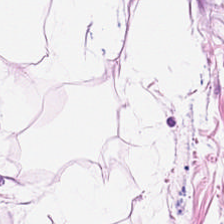Hematoxylin-and-eosin stained section — Histology — adipose.
